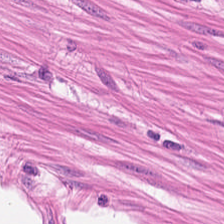Stain: hematoxylin-and-eosin stained section.
Tissue type: muscularis.
